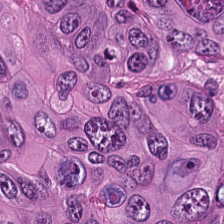H&E — Histology → colorectal adenocarcinoma.
